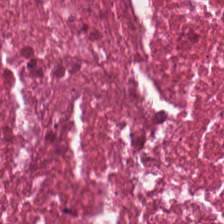H&E; 0.5 microns per pixel; FFPE.
Impression — cellular debris.
